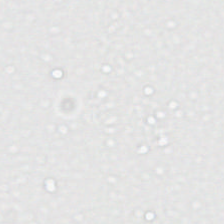Content — background.
